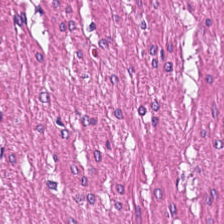This field is smooth muscle.
